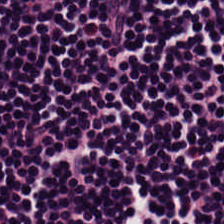Hematoxylin and eosin — Predominant tissue: lymphoid infiltrate.
